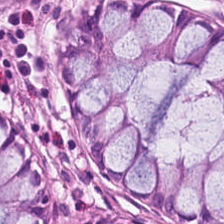Predominant tissue: non-neoplastic colon mucosa.
